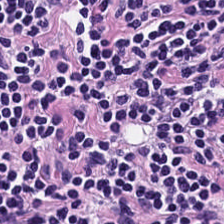H&E-stained tissue section · 224×224 px tile.
Tissue: lymphocyte aggregate.
